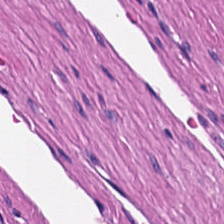H&E-stained section; the field shows smooth muscle.
